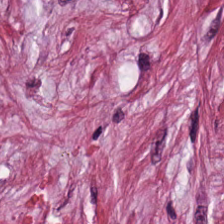0.5 µm per pixel. H&E-stained tissue section. Whole-slide-image patch. Histology — cancer-associated stroma.
